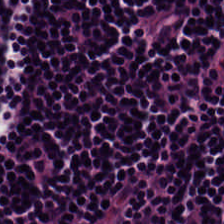Stain: hematoxylin and eosin.
Tile size: 224×224 px patch.
Preparation: FFPE tissue section.
Tissue class: lymphoid infiltrate.
